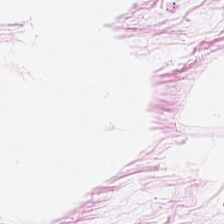H&E stain; formalin-fixed paraffin-embedded section; 224×224 pixel tile. This patch shows fat tissue.
